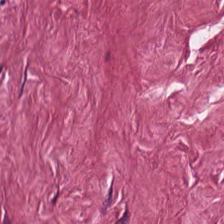Stain: hematoxylin-and-eosin stained section.
Acquisition: whole-slide-image patch.
Preparation: FFPE.
Tissue: tumor-associated stroma.
